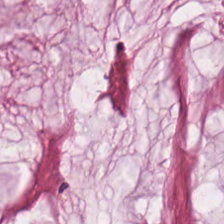Stain: hematoxylin and eosin.
Predominant tissue: mucus.
